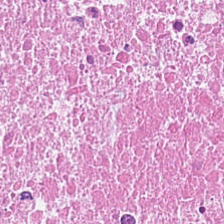Brightfield microscopy. H&E. 20× equivalent magnification. Predominantly cellular debris.
